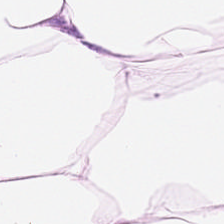WSI patch; H&E; 224×224 pixel tile.
This field is adipose tissue.
